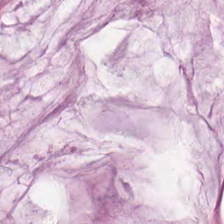H&E. Predominant tissue: mucin.
